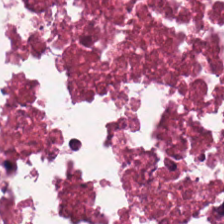Stain: hematoxylin and eosin.
Predominant tissue: necrotic debris.
